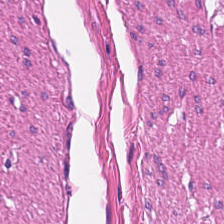Q: What does this patch show?
A: The field shows smooth muscle.
